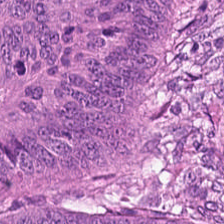Q: Classify this patch.
A: This is colorectal adenocarcinoma epithelium.
